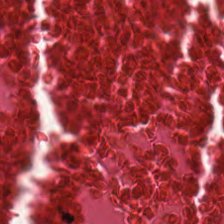Hematoxylin and eosin — Showing cellular debris.
